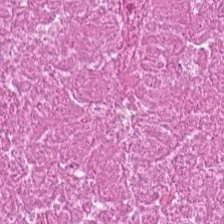H&E stain. 224×224 px patch.
This field is debris.
